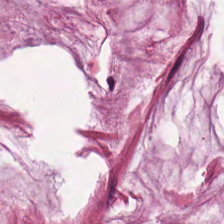H&E. WSI patch — Classification = mucus.
